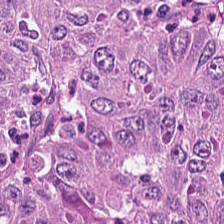Q: What type of tissue is this?
A: It is colorectal adenocarcinoma.
